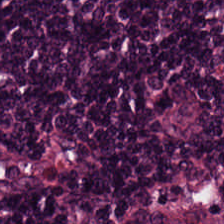Hematoxylin and eosin. This field is lymphocyte aggregate.
